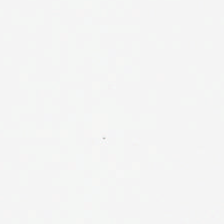This patch shows background (no tissue).
